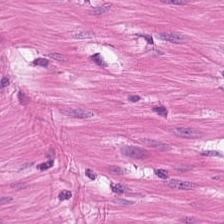H&E stain — Finding → muscularis.
